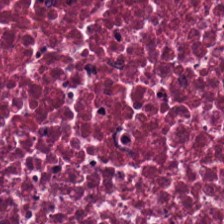Hematoxylin-and-eosin stained section. Formalin-fixed paraffin-embedded section.
Classification — debris.
